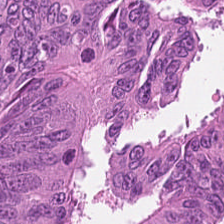The tissue here is adenocarcinoma.
